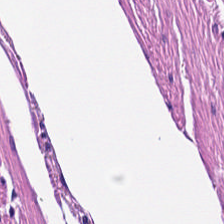H&E stain. Brightfield — This field is smooth-muscle tissue.
